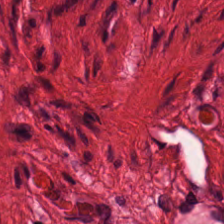Finding → smooth-muscle tissue.
